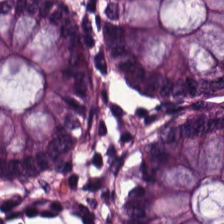Hematoxylin-and-eosin stained section. Impression → benign colonic mucosa.
